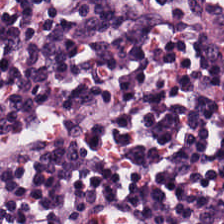Finding — lymphocyte aggregate.
